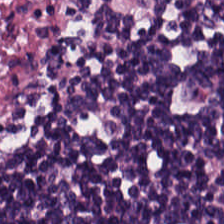Brightfield · hematoxylin and eosin. Q: What does this patch show?
A: This is lymphocytic infiltrate.
